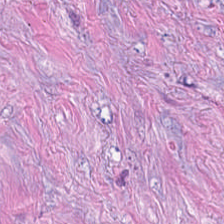0.5 µm/px. H&E stain — Q: What tissue is shown?
A: It is desmoplastic stroma.
